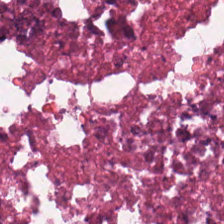H&E stain. 0.5 µm per pixel.
The tissue here is cellular debris.
